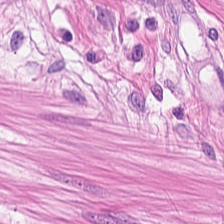Q: What does this patch show?
A: Smooth muscle.
